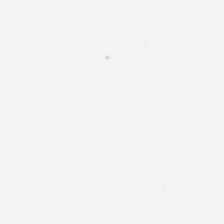H&E stain — Impression — empty background.
